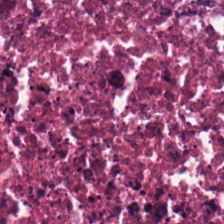H&E.
Tissue = cellular debris.
